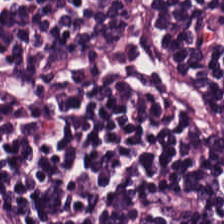H&E; 20× equivalent magnification; FFPE — {"tissue_type": "lymphocytic infiltrate"}
